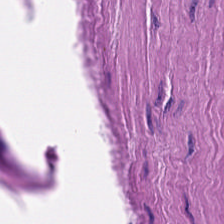Hematoxylin and eosin · 20× equivalent magnification.
The predominant tissue is smooth muscle.
